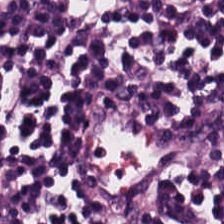The predominant tissue is lymphocytes.
